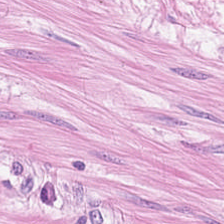This patch shows muscularis.
